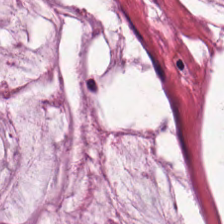224×224 pixel tile. H&E — Q: What is shown in this field?
A: This is mucin.
